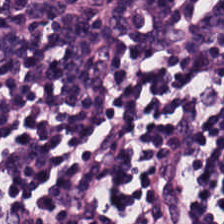Tissue class: lymphocytes.
